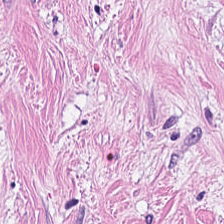H&E — cancer-associated stroma.
